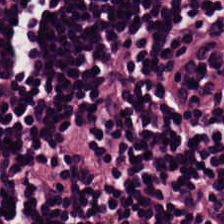H&E-stained tissue section — Finding — lymphocyte aggregate.
